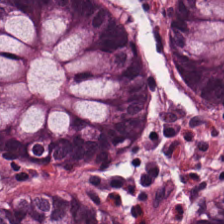Hematoxylin-and-eosin stained section — Showing non-neoplastic colon mucosa.
